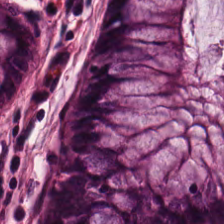This field is normal colon mucosa.
